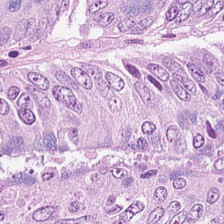Hematoxylin-and-eosin stained section. 224×224 px patch.
The tissue type is colorectal adenocarcinoma.
